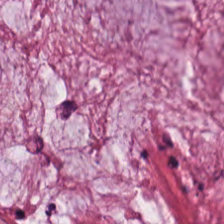Stain: H&E-stained tissue section.
Predominant tissue: mucus.
